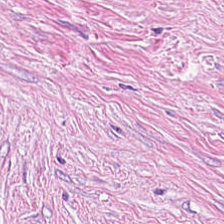H&E-stained section; the field shows tumor-associated stroma.
